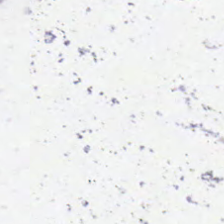This field is background (no tissue).
